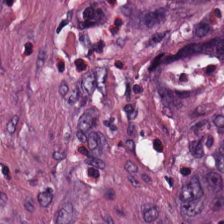Stain: hematoxylin-and-eosin stained section.
Tissue: tumor-associated stroma.
